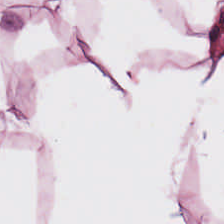H&E stain — This patch shows fat tissue.
